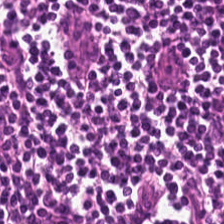Q: What type of tissue is this?
A: It is lymphocyte aggregate.
